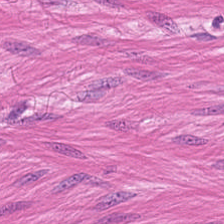Impression — smooth muscle.
